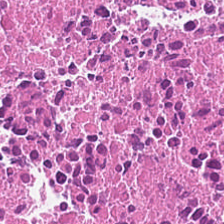Formalin-fixed paraffin-embedded section. Hematoxylin-and-eosin stained section — This patch shows cellular debris.
